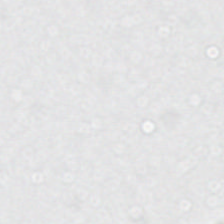Hematoxylin-and-eosin stained section.
Empty field — no tissue.
